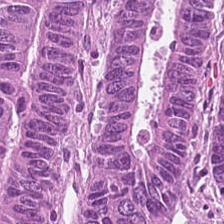Q: What is shown in this field?
A: This is adenocarcinoma.
